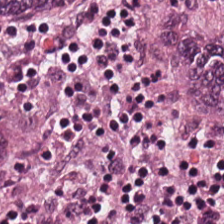Tissue — malignant epithelium.
